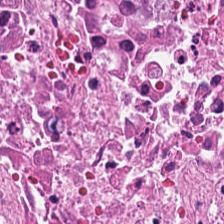Classification: necrotic debris.
